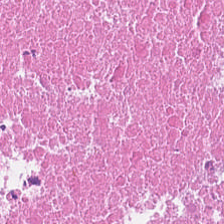Predominantly cellular debris.
